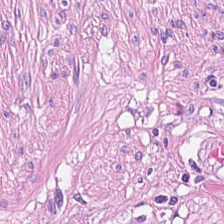H&E. The tissue here is muscularis.
